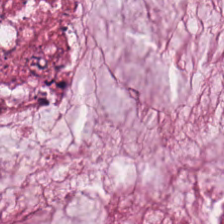Hematoxylin and eosin.
The tissue type is extracellular mucin.
